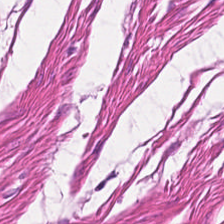H&E patch showing muscularis.
